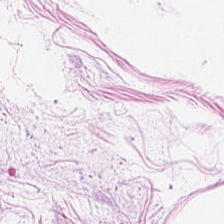Formalin-fixed paraffin-embedded section · hematoxylin-and-eosin stained section.
Q: What tissue type is shown here?
A: It is adipose.
